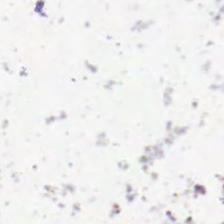H&E stain; FFPE tissue section — No tissue present; background only.
